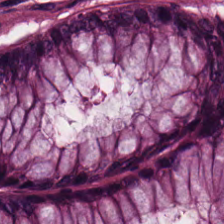H&E-stained tissue section showing benign colonic mucosa.
